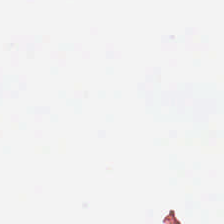Formalin-fixed paraffin-embedded section; brightfield; hematoxylin-and-eosin stained section.
Q: Classify this patch.
A: The field shows background.
